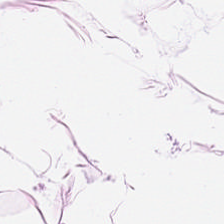The tissue type is adipose.
